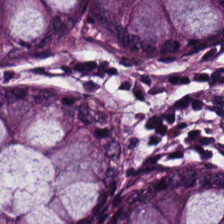H&E-stained tissue section — Non-neoplastic colon mucosa.
